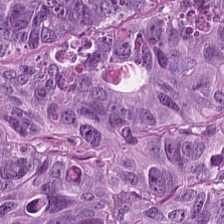Brightfield microscopy. 224×224 px patch. H&E stain.
Colorectal adenocarcinoma.
